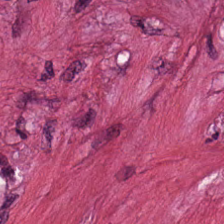H&E stain. FFPE tissue section. WSI patch — {"tissue_type": "tumor-associated stroma"}
